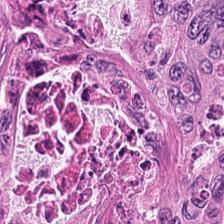Hematoxylin-and-eosin stained section · 0.5 µm/px.
The tissue class is malignant epithelium.
